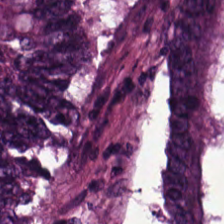H&E; 224×224 pixel tile — Tissue type = colorectal adenocarcinoma.
